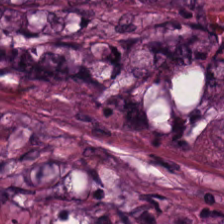Stain: H&E-stained tissue section.
Tissue type: malignant epithelium.
